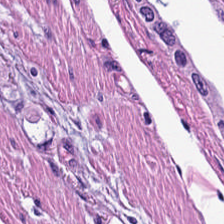Stain: hematoxylin and eosin.
Acquisition: WSI patch.
Tissue type: smooth muscle.
